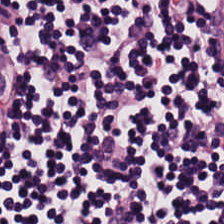224×224 px patch · H&E · 0.5 µm/px — The predominant tissue is lymphocytes.
